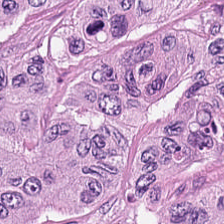H&E-stained tissue section.
The tissue here is malignant epithelium.
